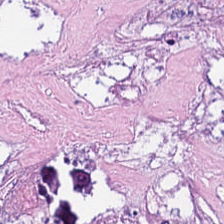Brightfield microscopy · H&E — Necrotic debris.
